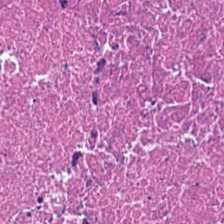H&E. The tissue type is debris.
